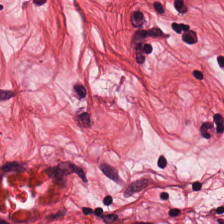H&E-stained tissue section.
Finding → smooth-muscle tissue.
